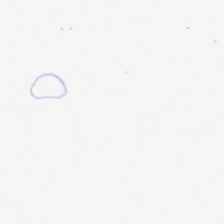WSI patch · 0.5 microns per pixel · H&E-stained tissue section — Background — no tissue in this field.
